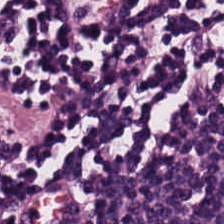H&E-stained tissue section. WSI patch — Finding → lymphocyte aggregate.
